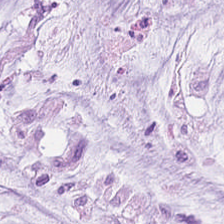H&E.
Tissue type = extracellular mucin.
